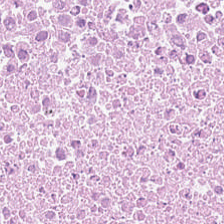Q: What type of tissue is this?
A: The field shows cellular debris.
